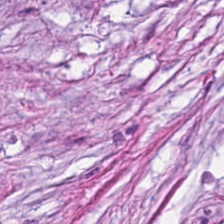Stain: H&E stain.
Predominant tissue: tumor stroma.
